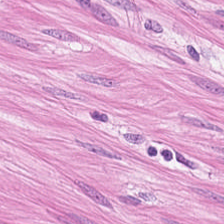Hematoxylin-and-eosin stained section. Q: What does this patch show?
A: Smooth-muscle tissue.
